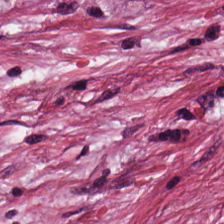Stain: hematoxylin and eosin.
Preparation: FFPE.
Resolution: 20× equivalent magnification.
Tissue: cancer-associated stroma.
